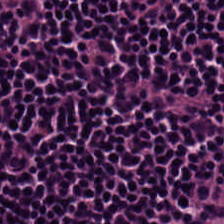Hematoxylin and eosin. Classification — lymphoid infiltrate.
